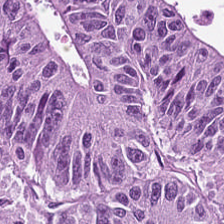H&E. Predominantly tumor epithelium.
